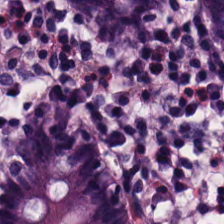20× equivalent magnification. Hematoxylin-and-eosin stained section. The predominant tissue is normal colon mucosa.
